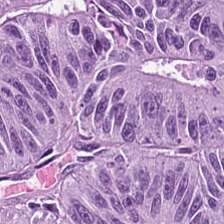H&E-stained tissue section. 0.5 µm/px. Q: What tissue type is shown here?
A: It is colorectal adenocarcinoma epithelium.
